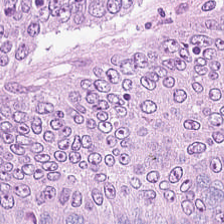H&E stain.
The predominant tissue is colorectal adenocarcinoma.
